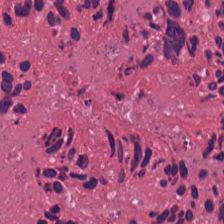The predominant tissue is cellular debris.
